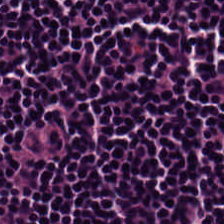Stain: H&E.
Tissue: lymphocyte aggregate.
